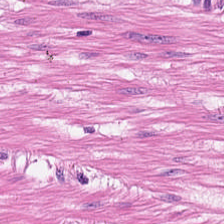Whole-slide-image patch · H&E stain · FFPE tissue section — Q: What is shown here?
A: It is smooth muscle.
